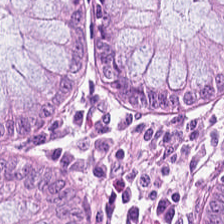H&E-stained tissue section.
Q: What is shown here?
A: It is normal colonic mucosa.
